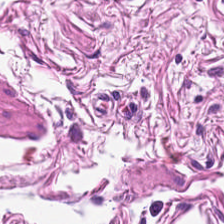Stain: H&E stain.
Tissue type: smooth-muscle tissue.
